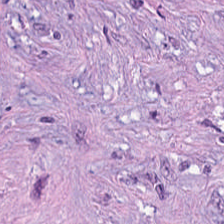H&E stain; 20× equivalent magnification.
{"tissue_type": "tumor stroma"}
